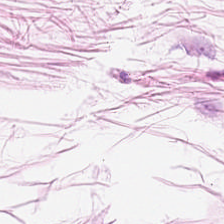{"tissue_type": "adipose"}
